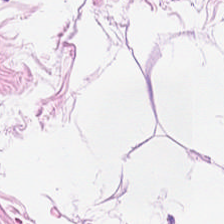Hematoxylin and eosin · formalin-fixed paraffin-embedded section.
Predominantly adipocytes.
